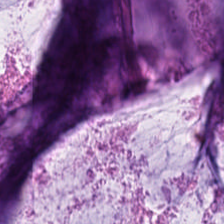H&E-stained tissue section.
This patch shows mucin.
